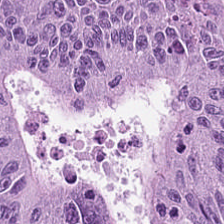H&E-stained tissue section — This patch shows malignant epithelium.
